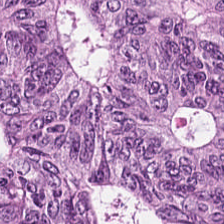FFPE · 224×224 px patch · H&E stain.
The tissue type is colorectal adenocarcinoma.
